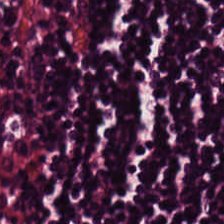224×224 px tile; H&E-stained tissue section — Showing lymphocyte aggregate.
